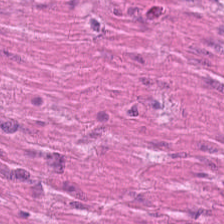Stain: H&E stain.
Predominant tissue: smooth-muscle tissue.
